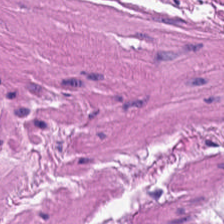Classification — muscularis.
